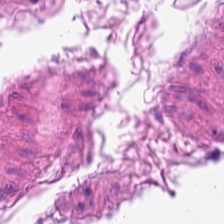H&E.
Tissue type — smooth-muscle tissue.
